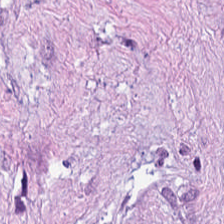Hematoxylin-and-eosin stained section · WSI patch — Tumor-associated stroma.
